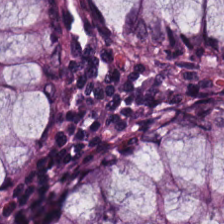H&E stain. 20× equivalent magnification.
{"tissue_type": "benign colonic mucosa"}
